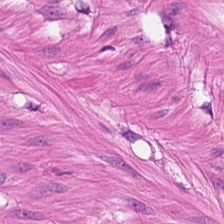H&E-stained tissue section. This field is muscularis.
